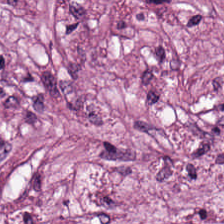Q: What is the predominant tissue type?
A: The field shows tumor stroma.
